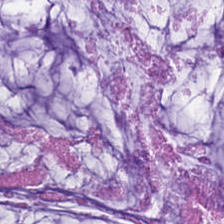H&E.
{"tissue_type": "mucus"}
